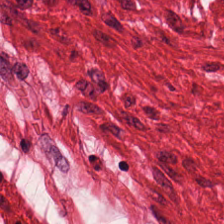Formalin-fixed paraffin-embedded section; hematoxylin and eosin; 224×224 pixel tile — Predominantly muscularis.
